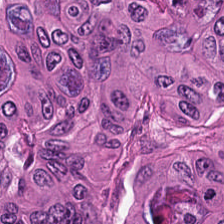H&E patch showing malignant epithelium.
